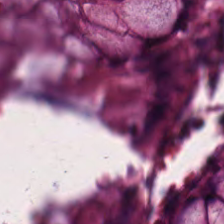H&E; 224×224 px patch. This field is non-neoplastic colon mucosa.
